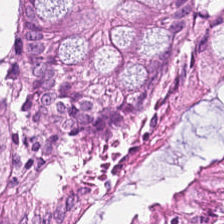The predominant tissue is non-neoplastic colon mucosa.
